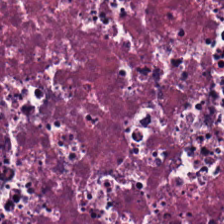Hematoxylin and eosin.
The predominant tissue is debris.
